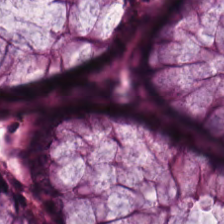H&E-stained tissue section.
The predominant tissue is normal colon mucosa.
